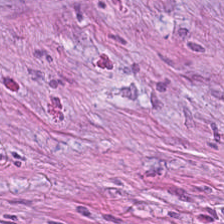Stain: hematoxylin and eosin.
Tissue class: cancer-associated stroma.
